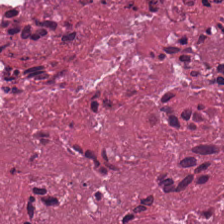H&E stain; whole-slide-image patch; 224×224 pixel tile.
Q: What type of tissue is this?
A: It is debris.
